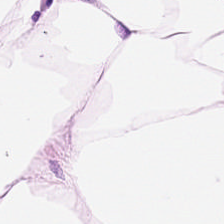Formalin-fixed paraffin-embedded section. H&E. Histology — adipose tissue.
